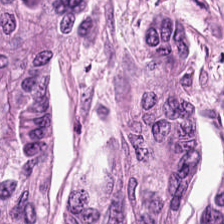Classification: colorectal adenocarcinoma.
